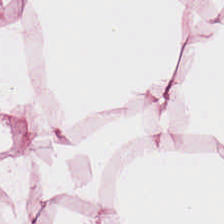H&E.
Q: What tissue is shown?
A: It is adipose.
